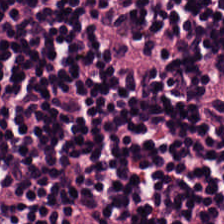The tissue is lymphocytic infiltrate.
